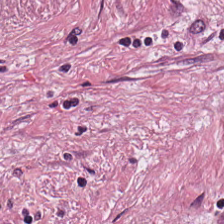This field is tumor stroma.
